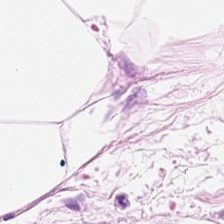H&E. This patch shows adipose tissue.
